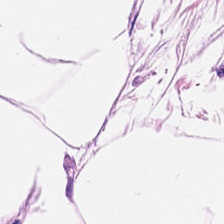Hematoxylin and eosin.
Predominant tissue: adipose tissue.
